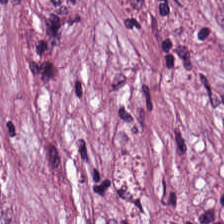224×224 pixel tile · H&E-stained tissue section.
The tissue type is desmoplastic stroma.
